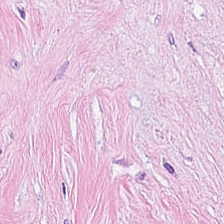Tumor stroma.
